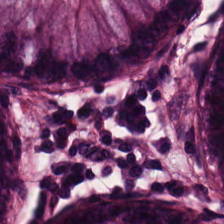WSI patch; hematoxylin-and-eosin stained section.
This patch shows benign colonic mucosa.
